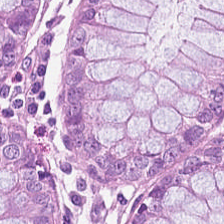The predominant tissue is benign colonic mucosa.
